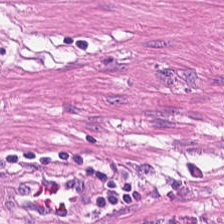Q: What is the predominant tissue type?
A: This is smooth-muscle tissue.
